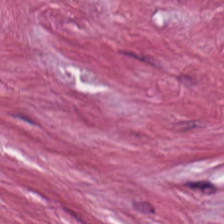Q: What is the predominant tissue type?
A: Desmoplastic stroma.
